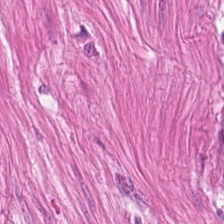H&E. This patch shows smooth muscle.
